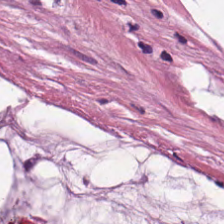Stain: hematoxylin and eosin.
Resolution: 0.5 µm/px.
Tissue type: extracellular mucin.
